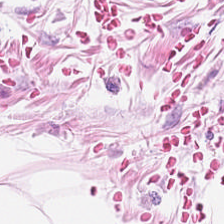Stain: H&E.
Tissue type: adipocytes.
